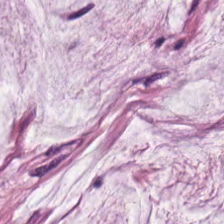H&E-stained tissue section. Formalin-fixed paraffin-embedded section. 224×224 px patch. Showing mucin.
